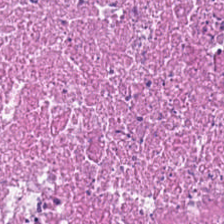Stain: H&E.
Tissue: necrotic debris.
